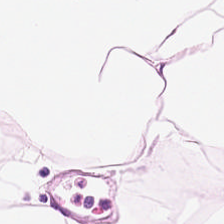Hematoxylin and eosin.
Q: What is shown here?
A: Adipose.
